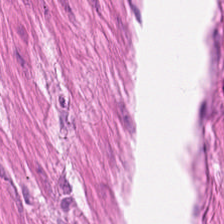H&E.
This field is smooth muscle.
